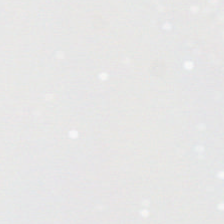Stain: H&E-stained tissue section.
Classification: background (no tissue).
